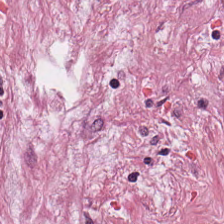Hematoxylin-and-eosin stained section; WSI patch — Cancer-associated stroma.
